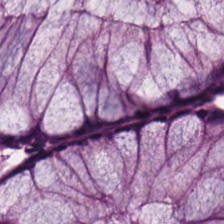H&E-stained tissue section; 20× equivalent magnification; FFPE tissue section — The classification is normal colonic mucosa.
